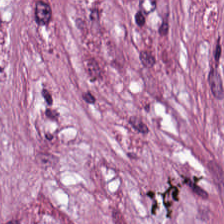Hematoxylin-and-eosin stained section. FFPE.
Classification — desmoplastic stroma.
